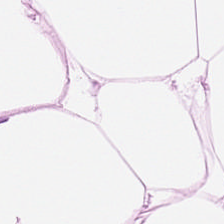H&E — Q: Identify the tissue.
A: The field shows adipocytes.
